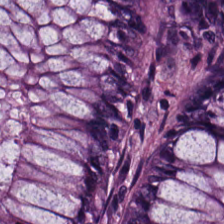H&E stain. 0.5 µm/px. 224×224 px patch — Predominant tissue: normal colon mucosa.
